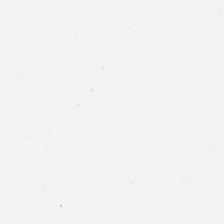H&E. 224×224 pixel tile.
Q: What is shown in this field?
A: Background (no tissue).
